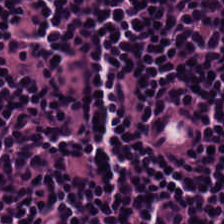Q: What tissue is shown?
A: Lymphocytes.
